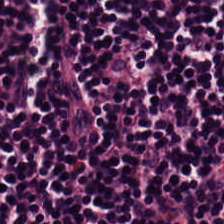224×224 px tile · H&E stain. Lymphoid infiltrate.
